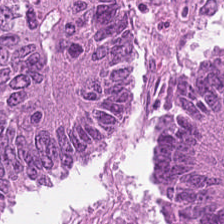Whole-slide-image patch. Formalin-fixed paraffin-embedded section. H&E-stained tissue section — This patch shows colorectal adenocarcinoma.
